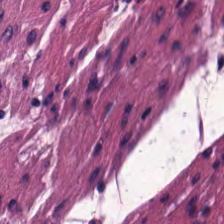Tissue class = smooth muscle.
